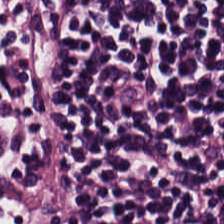The predominant tissue is lymphocytic infiltrate.
